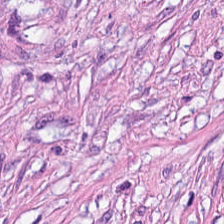Hematoxylin-and-eosin stained section. Tumor-associated stroma.
